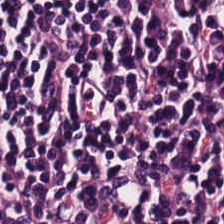Q: What is the predominant tissue type?
A: This is lymphocytes.
